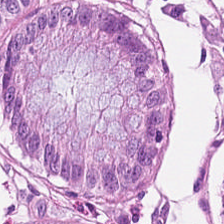Q: What does this patch show?
A: It is non-neoplastic colon mucosa.
